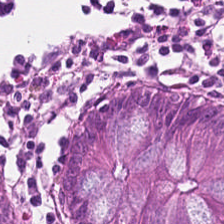Stain: hematoxylin and eosin.
Tissue: normal colonic mucosa.
